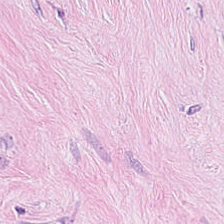This patch shows desmoplastic stroma.
